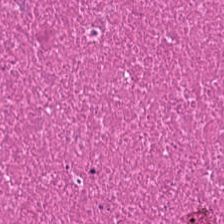224×224 px tile; H&E stain.
Predominantly cellular debris.
